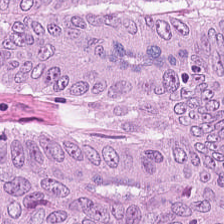Q: What is shown here?
A: It is malignant epithelium.
